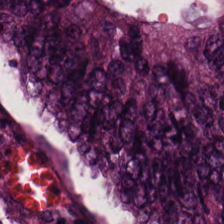224×224 px tile · H&E-stained tissue section — This patch shows colorectal adenocarcinoma.
